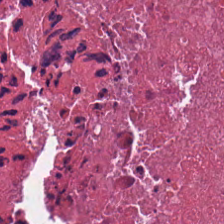0.5 microns per pixel; hematoxylin and eosin.
The tissue type is debris.
